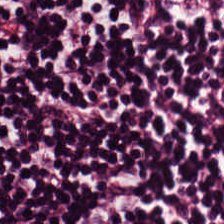H&E-stained tissue section. Q: What tissue is shown?
A: This is lymphoid infiltrate.
